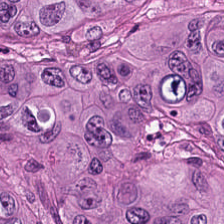H&E. Impression — tumor epithelium.
